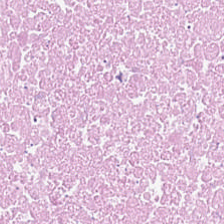Stain: H&E.
Predominant tissue: debris.
